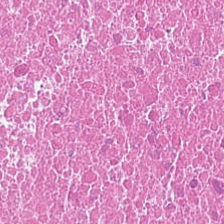0.5 microns per pixel. H&E-stained tissue section. This patch shows cellular debris.
